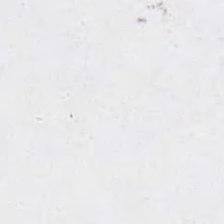Hematoxylin and eosin. 0.5 microns per pixel. Field content: no tissue.
